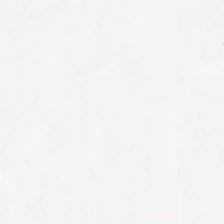H&E stain.
Q: What is shown in this field?
A: The field shows no tissue.
